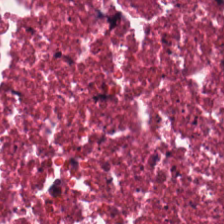H&E stain · 224×224 px tile · brightfield microscopy. Showing cellular debris.
